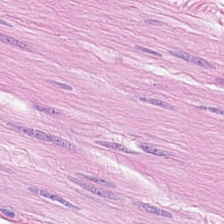Hematoxylin-and-eosin stained section · 224×224 px tile.
The classification is smooth muscle.
